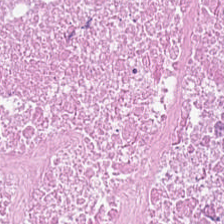This patch shows cellular debris.
